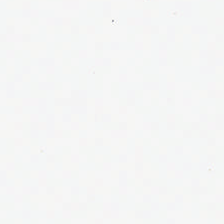H&E.
The content is empty background.
